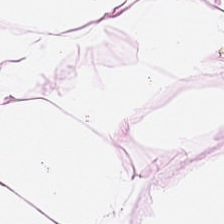Formalin-fixed paraffin-embedded section · H&E-stained tissue section.
Showing fat tissue.
